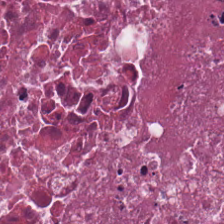Stain: hematoxylin-and-eosin stained section.
Acquisition: WSI patch.
Tissue type: debris.
